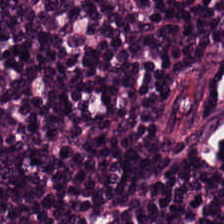Stain: hematoxylin-and-eosin stained section.
Resolution: 20× equivalent magnification.
Acquisition: brightfield microscopy.
Predominant tissue: lymphoid infiltrate.
